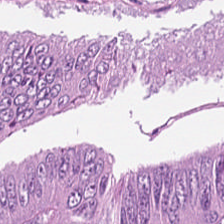Hematoxylin-and-eosin stained section. The tissue type is colorectal adenocarcinoma epithelium.
